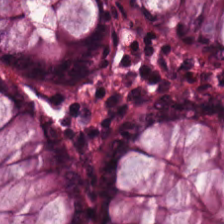Hematoxylin-and-eosin stained section; 224×224 px patch. Impression — benign colonic mucosa.
